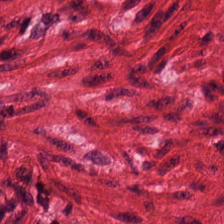Stain: H&E-stained tissue section.
Tissue class: smooth muscle.
